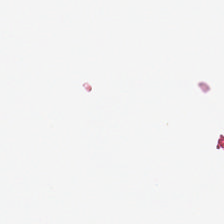FFPE tissue section; H&E stain; brightfield.
This field is background (no tissue).
